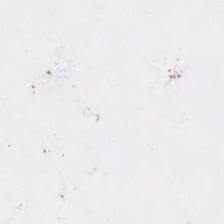Q: What is shown in this field?
A: No tissue.
